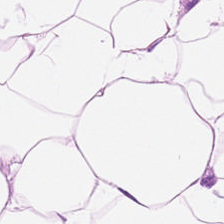Hematoxylin-and-eosin stained section. {"tissue_type": "adipocytes"}
